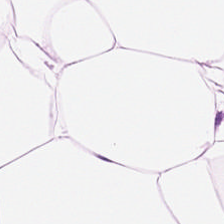Stain: hematoxylin-and-eosin stained section.
Acquisition: brightfield.
Resolution: 0.5 microns per pixel.
Classification: adipocytes.
